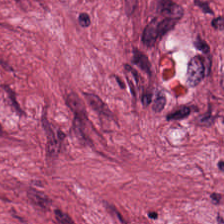H&E stain.
This field is tumor-associated stroma.
